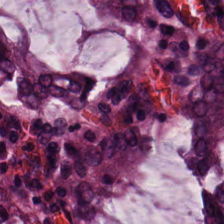Stain: hematoxylin-and-eosin stained section.
Tissue class: normal colon mucosa.
